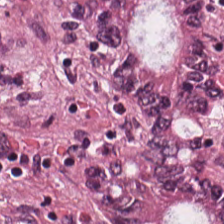224×224 px patch · H&E stain — The classification is colorectal adenocarcinoma epithelium.
